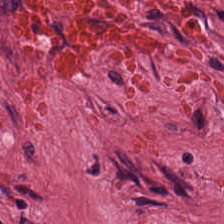0.5 µm/px; H&E stain.
Tissue type — tumor-associated stroma.
